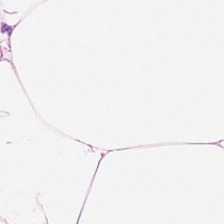Hematoxylin-and-eosin stained section — Tissue class = adipose.
